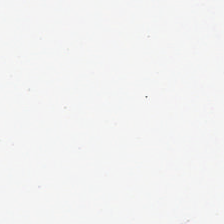Formalin-fixed paraffin-embedded section; hematoxylin and eosin. Field content = no tissue.
